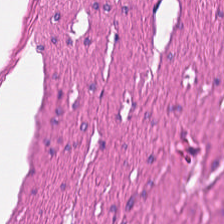Hematoxylin and eosin. Predominant tissue = smooth-muscle tissue.
